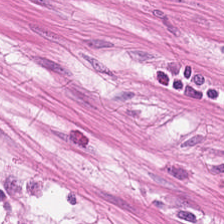H&E stain. FFPE. Brightfield microscopy.
Finding — muscularis.
